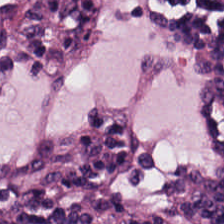Whole-slide-image patch. H&E stain. FFPE tissue section — Tissue type = lymphoid infiltrate.
